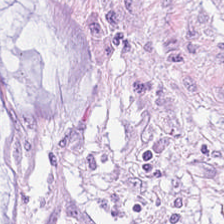Hematoxylin-and-eosin stained section. Finding → extracellular mucin.
